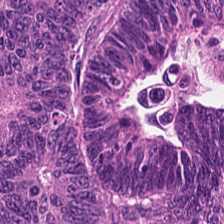H&E. Finding → colorectal adenocarcinoma.
